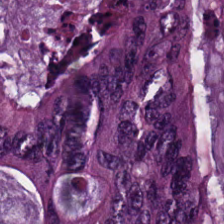H&E stain.
The tissue here is malignant epithelium.
